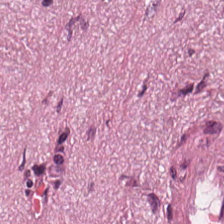Q: What tissue is shown?
A: It is tumor-associated stroma.
